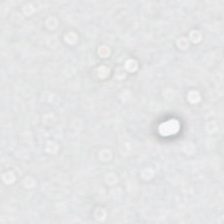224×224 px patch. Hematoxylin and eosin. WSI patch.
Empty field — background (no tissue).
